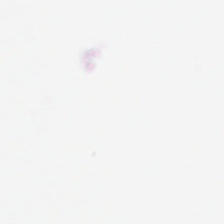H&E stain.
Classification = background (no tissue).
